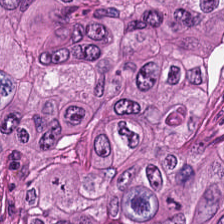Q: What does this patch show?
A: Tumor epithelium.
